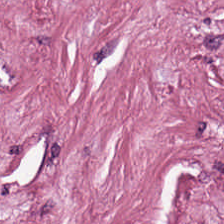Stain: H&E.
Tissue type: tumor stroma.
